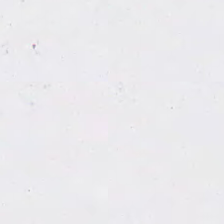H&E stain. Empty field — empty background.
